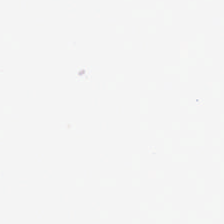FFPE. H&E-stained tissue section. No tissue present; background only.
